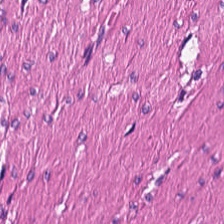Hematoxylin-and-eosin stained section.
This patch shows smooth-muscle tissue.
